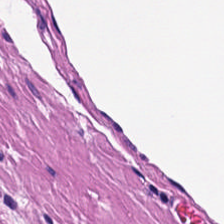H&E stain; 0.5 microns per pixel.
Showing smooth muscle.
